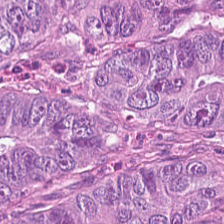Stain: H&E.
Classification: colorectal adenocarcinoma epithelium.
